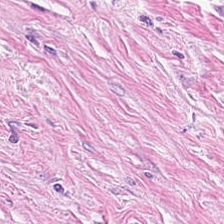Hematoxylin-and-eosin stained section. 224×224 px patch. The predominant tissue is desmoplastic stroma.
